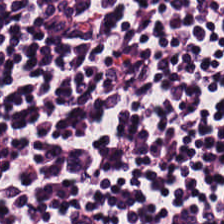Stain: hematoxylin-and-eosin stained section.
Preparation: FFPE.
Acquisition: brightfield microscopy.
Tissue: lymphoid infiltrate.
